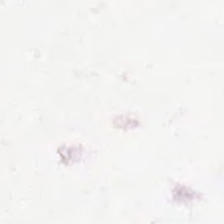Q: What is shown here?
A: It is no tissue.
